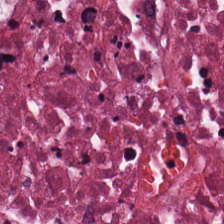Hematoxylin and eosin.
Histology → necrotic debris.
